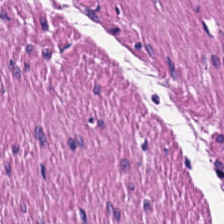This field is muscularis.
